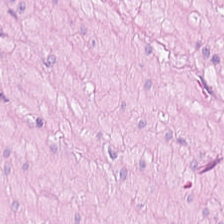Brightfield · hematoxylin-and-eosin stained section. Finding → smooth-muscle tissue.
